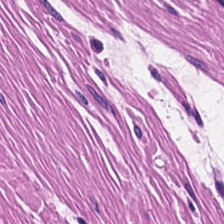Hematoxylin-and-eosin stained section — Impression → muscularis.
